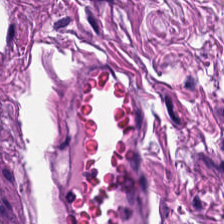H&E-stained tissue section. Impression → muscularis.
